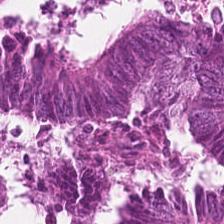Stain: hematoxylin-and-eosin stained section.
Tissue type: adenocarcinoma.
